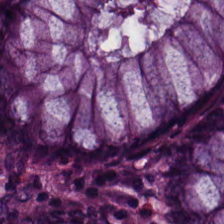This patch shows normal colonic mucosa.
